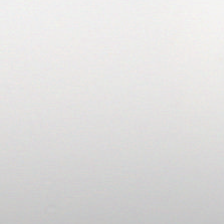FFPE. H&E-stained tissue section. 224×224 px patch — Background (no tissue).
